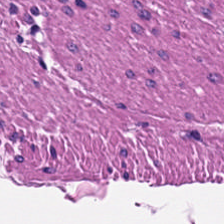224×224 px tile. H&E. The tissue here is muscularis.
